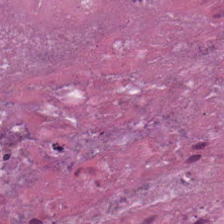WSI patch · 20× equivalent magnification · H&E. Predominant tissue = necrotic debris.
